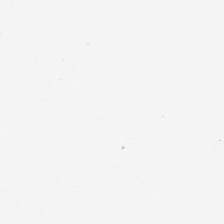H&E-stained tissue section; 0.5 microns per pixel; 224×224 pixel tile.
Field content = no tissue.
